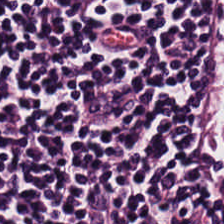Hematoxylin and eosin. Q: What is shown in this field?
A: It is lymphocytic infiltrate.
